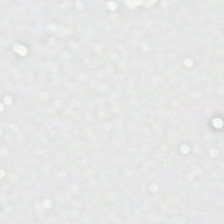Hematoxylin-and-eosin stained section — Background — no tissue in this field.
